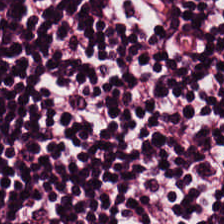0.5 µm/px · hematoxylin and eosin. Tissue — lymphocyte aggregate.
